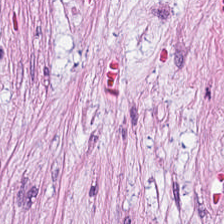H&E stain.
This field is tumor stroma.
